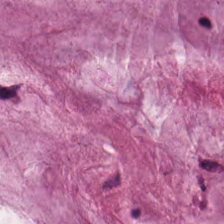H&E-stained tissue section · 0.5 µm/px.
Tissue class — mucin.
